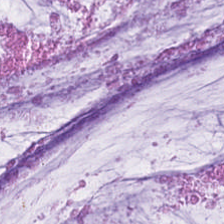The tissue is mucin.
